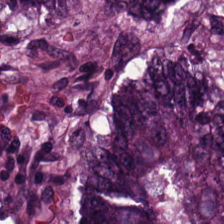Hematoxylin and eosin. 20× equivalent magnification. 224×224 pixel tile. This patch shows colorectal adenocarcinoma.
